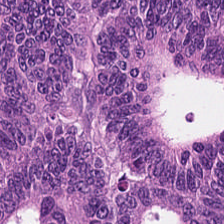Q: What does this patch show?
A: The field shows malignant epithelium.
